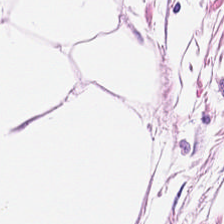H&E-stained tissue section · 0.5 µm/px · WSI patch.
Q: What does this patch show?
A: The field shows adipose.
